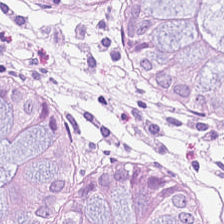Stain: H&E-stained tissue section.
Tissue: normal colon mucosa.
